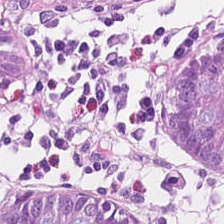Stain: H&E stain.
Resolution: 0.5 µm per pixel.
Classification: normal colonic mucosa.
